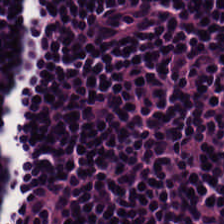224×224 px tile. H&E — Tissue: lymphoid infiltrate.
